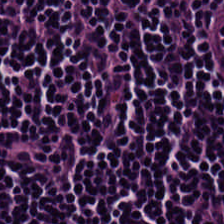FFPE · WSI patch · hematoxylin and eosin. Q: Classify this patch.
A: This is lymphocytic infiltrate.
